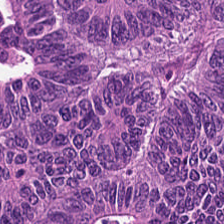224×224 pixel tile; hematoxylin-and-eosin stained section — Q: What type of tissue is this?
A: The field shows tumor epithelium.
